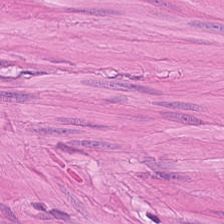H&E — The tissue here is muscularis.
